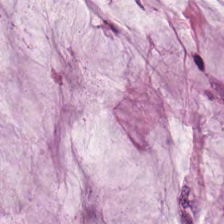Hematoxylin and eosin.
Q: What is shown in this field?
A: The field shows extracellular mucin.
